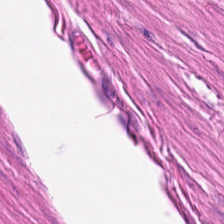Tissue type = muscularis.
